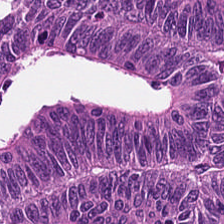0.5 µm per pixel; H&E stain.
Tissue — tumor epithelium.
